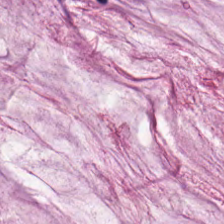Q: What tissue type is shown here?
A: The field shows extracellular mucin.
